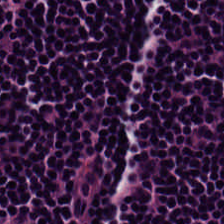Brightfield · hematoxylin and eosin. Histology — lymphoid infiltrate.
